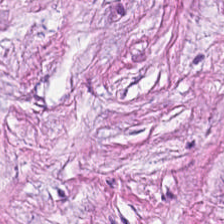H&E-stained tissue section.
Classification: tumor stroma.
